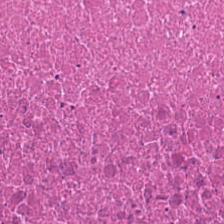Brightfield · 20× equivalent magnification · hematoxylin-and-eosin stained section. Impression → necrotic debris.
